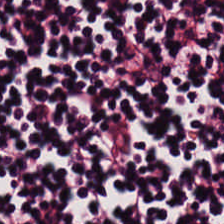H&E. Formalin-fixed paraffin-embedded section.
Impression — lymphoid infiltrate.
